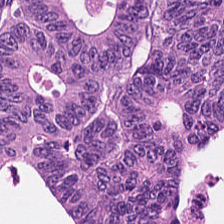Hematoxylin-and-eosin stained section.
The predominant tissue is colorectal adenocarcinoma.
